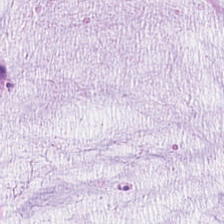Formalin-fixed paraffin-embedded section. Hematoxylin-and-eosin stained section. Whole-slide-image patch — This field is mucin.
